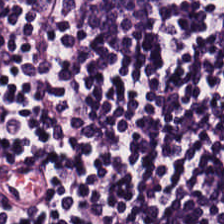20× equivalent magnification. H&E-stained tissue section.
Q: Classify this patch.
A: Lymphoid infiltrate.
